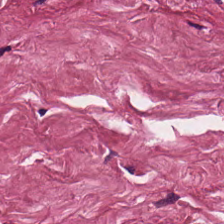This patch shows tumor-associated stroma.
